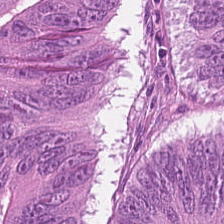H&E-stained tissue section · 224×224 px tile.
Finding — colorectal adenocarcinoma epithelium.
